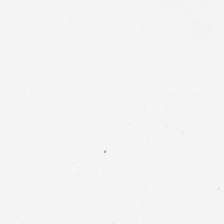Histology — empty background.
